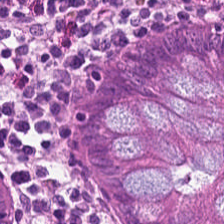H&E.
Classification = non-neoplastic colon mucosa.
